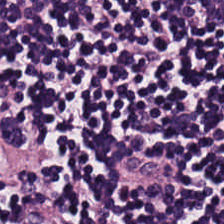H&E-stained tissue section. Histology → lymphocytic infiltrate.
